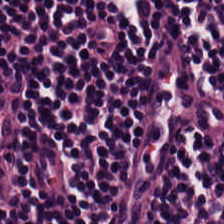224×224 px patch · H&E stain.
Classification = lymphocytes.
